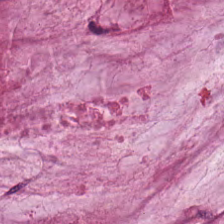Hematoxylin and eosin — The tissue is mucin.
